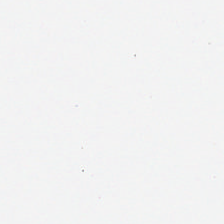H&E-stained tissue section — Histology — background (no tissue).
